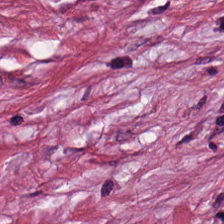H&E stain; 0.5 µm/px. This field is cancer-associated stroma.
